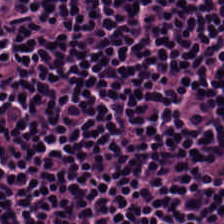The predominant tissue is lymphocytes.
